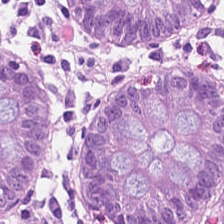Hematoxylin-and-eosin stained section; WSI patch. The tissue class is normal colon mucosa.
